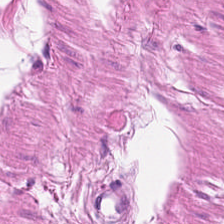H&E stain · FFPE.
Showing muscularis.
